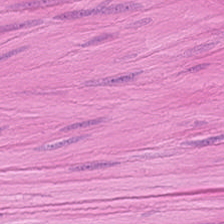Tissue — muscularis.
